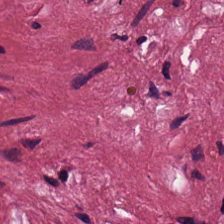20× equivalent magnification; H&E; 224×224 pixel tile — Q: What is shown here?
A: This is desmoplastic stroma.
